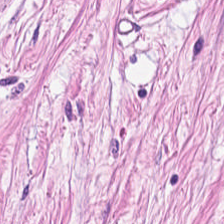224×224 pixel tile. H&E-stained tissue section — Q: What type of tissue is this?
A: The field shows desmoplastic stroma.
